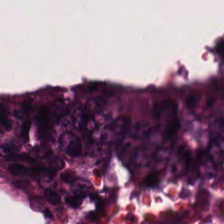H&E. The predominant tissue is adenocarcinoma.
